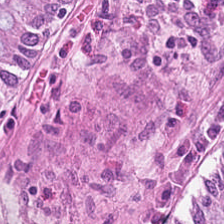Hematoxylin and eosin.
Non-neoplastic colon mucosa.
